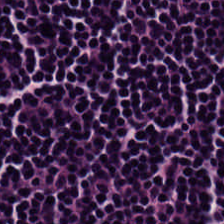H&E — Tissue class = lymphocyte aggregate.
